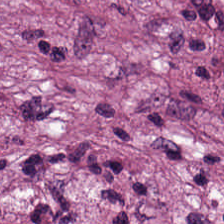Hematoxylin and eosin.
The tissue here is desmoplastic stroma.
